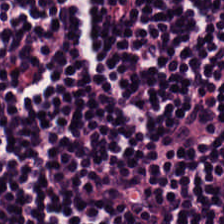Hematoxylin-and-eosin section: lymphocytes.
